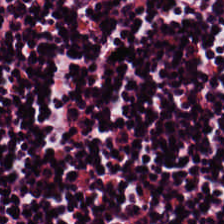Q: What is shown in this field?
A: This is lymphocytes.
